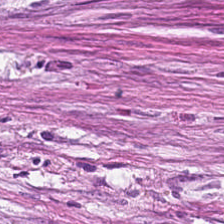0.5 µm per pixel · H&E-stained tissue section.
Impression — desmoplastic stroma.
